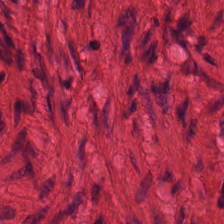Stain: hematoxylin and eosin.
Tissue class: smooth muscle.
